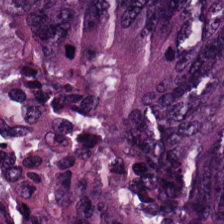Hematoxylin-and-eosin stained section; brightfield.
Finding — tumor epithelium.
